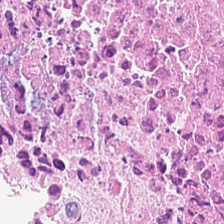Stain: hematoxylin-and-eosin stained section.
Tissue class: debris.
